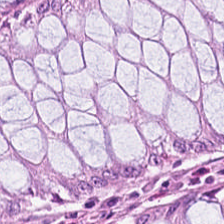Whole-slide-image patch; H&E.
Tissue class = benign colonic mucosa.
